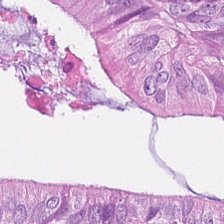Impression — colorectal adenocarcinoma epithelium.
